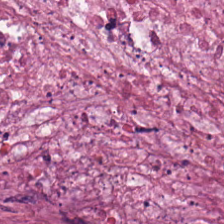Formalin-fixed paraffin-embedded section; H&E — The predominant tissue is debris.
